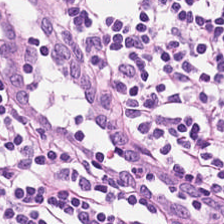H&E stain — {"tissue_type": "lymphocytic infiltrate"}
